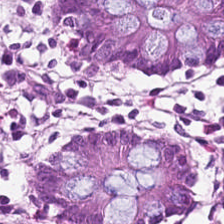Q: What tissue is shown?
A: This is normal colonic mucosa.
